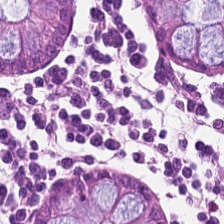H&E-stained tissue section. FFPE.
Tissue type = non-neoplastic colon mucosa.
